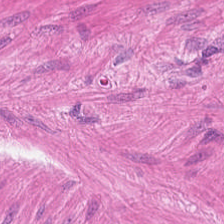0.5 µm/px · hematoxylin-and-eosin stained section · 224×224 px patch — Q: What tissue is shown?
A: Muscularis.
